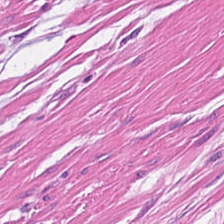Stain: H&E stain.
Predominant tissue: smooth muscle.
